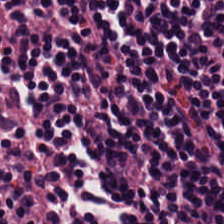224×224 px patch. Hematoxylin-and-eosin stained section.
Lymphoid infiltrate.
